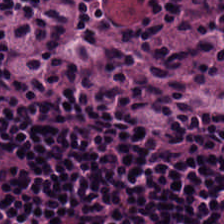FFPE; hematoxylin-and-eosin stained section.
The tissue here is lymphocytes.
